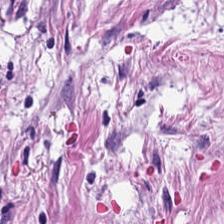Brightfield microscopy · hematoxylin and eosin. The predominant tissue is desmoplastic stroma.
